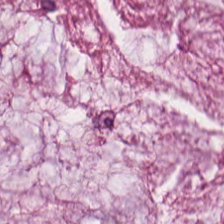Tissue class = mucin.
